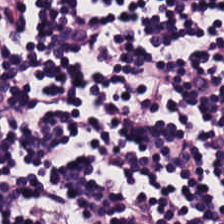H&E-stained tissue section — Q: What tissue type is shown here?
A: The field shows lymphocytic infiltrate.
